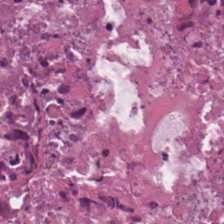H&E.
Showing debris.
